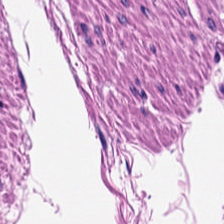Hematoxylin-and-eosin stained section — {"tissue_type": "smooth muscle"}
